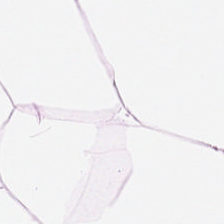Classification = adipose tissue.
